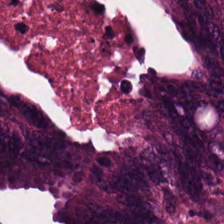WSI patch; H&E — Q: What tissue type is shown here?
A: Malignant epithelium.
